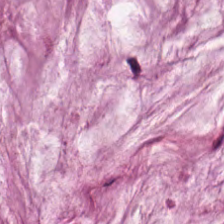H&E-stained tissue section. Q: What tissue type is shown here?
A: This is mucin.
